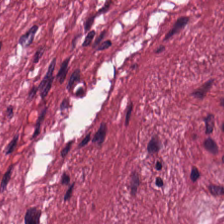Formalin-fixed paraffin-embedded section · hematoxylin-and-eosin stained section. Q: Identify the tissue.
A: The field shows cancer-associated stroma.
